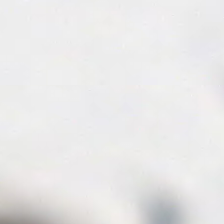This patch shows background.
